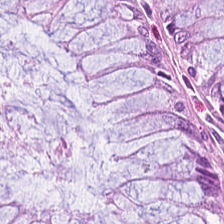224×224 pixel tile · H&E.
Classification — benign colonic mucosa.
